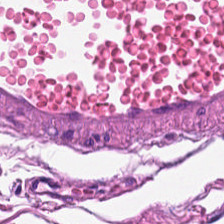Stain: hematoxylin and eosin.
Tissue class: smooth muscle.
